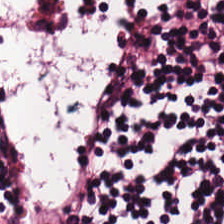Tissue = lymphoid infiltrate.
